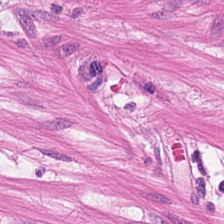0.5 microns per pixel; H&E stain — The predominant tissue is muscularis.
